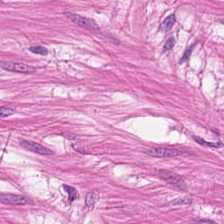Q: What is shown in this field?
A: This is muscularis.
